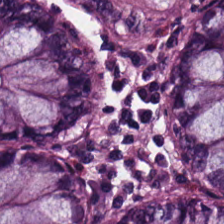H&E-stained tissue section — Showing normal colon mucosa.
